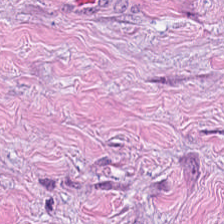0.5 µm per pixel · H&E-stained tissue section · brightfield microscopy — {"tissue_type": "cancer-associated stroma"}
